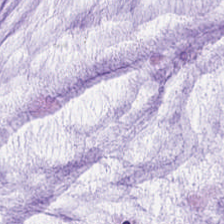H&E.
This patch shows extracellular mucin.
